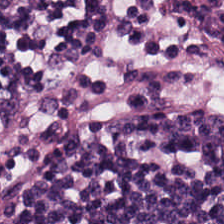FFPE tissue section. 0.5 microns per pixel. H&E stain. Tissue = lymphocytes.
